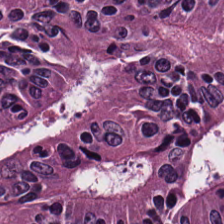20× equivalent magnification; hematoxylin-and-eosin stained section. The predominant tissue is adenocarcinoma.
